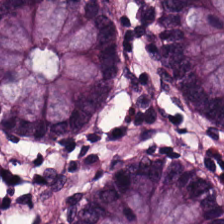H&E-stained tissue section — Tissue: normal colonic mucosa.
